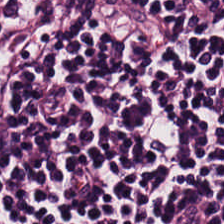The tissue is lymphocytic infiltrate.
